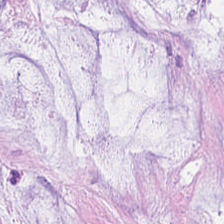H&E — Impression → extracellular mucin.
